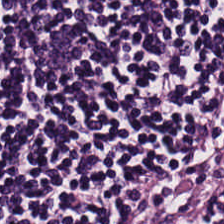Brightfield. H&E-stained tissue section — Predominant tissue: lymphocytes.
